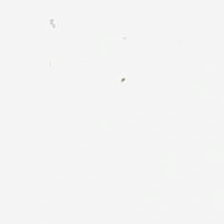H&E-stained tissue section; brightfield. Background — no tissue in this field.
